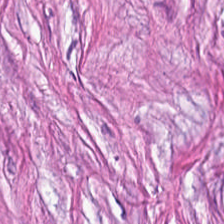This patch shows tumor-associated stroma.
